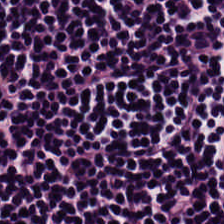Brightfield. FFPE. H&E stain. The tissue here is lymphoid infiltrate.
